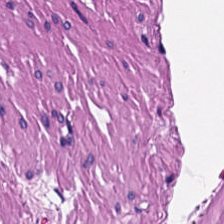H&E patch showing smooth-muscle tissue.
